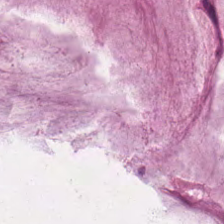H&E stain; WSI patch — {"tissue_type": "extracellular mucin"}
